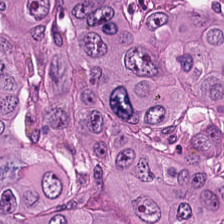Hematoxylin-and-eosin stained section.
Tumor epithelium.
